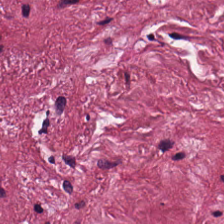0.5 µm/px; H&E-stained tissue section; formalin-fixed paraffin-embedded section — Tissue class: tumor-associated stroma.
